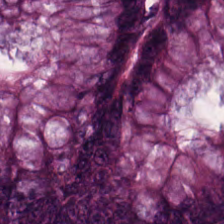Q: What is the predominant tissue type?
A: It is normal colonic mucosa.
